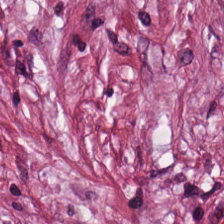Finding — tumor stroma.
